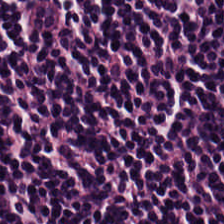Hematoxylin and eosin — Tissue = lymphoid infiltrate.
